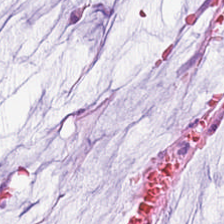Stain: H&E.
Tissue class: mucin.
